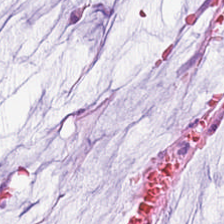Stain: H&E.
Tissue class: mucin.
